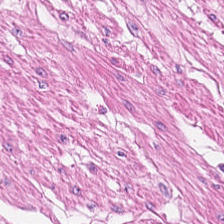H&E — smooth-muscle tissue.
